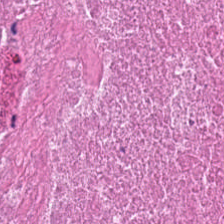Hematoxylin-and-eosin stained section; formalin-fixed paraffin-embedded section; brightfield. The predominant tissue is debris.
